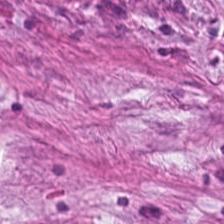224×224 px patch · H&E-stained tissue section · whole-slide-image patch. The predominant tissue is tumor stroma.
